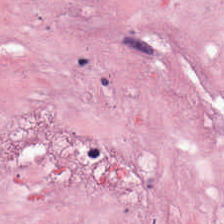H&E stain · 0.5 µm/px — This patch shows desmoplastic stroma.
